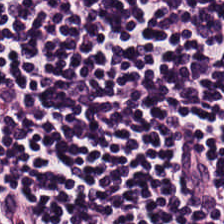Hematoxylin-and-eosin stained section — The classification is lymphocytic infiltrate.
